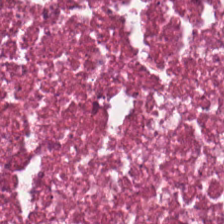Hematoxylin and eosin — {"tissue_type": "cellular debris"}
